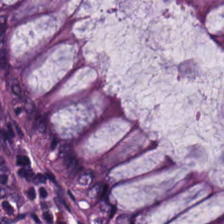Predominantly benign colonic mucosa.
